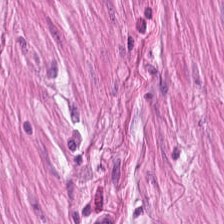224×224 px patch. H&E stain. WSI patch — Tissue class = muscularis.
